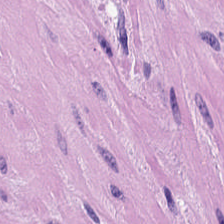H&E-stained tissue section · 224×224 px tile — Q: What is shown in this field?
A: It is muscularis.
